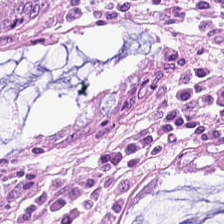Stain: H&E-stained tissue section.
Tissue: benign colonic mucosa.
